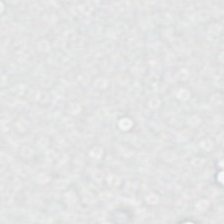H&E-stained tissue section — Classification = empty background.
